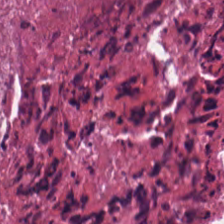H&E stain — Q: What tissue type is shown here?
A: The field shows cellular debris.
